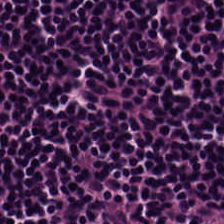H&E stain. Q: What is shown in this field?
A: This is lymphoid infiltrate.
